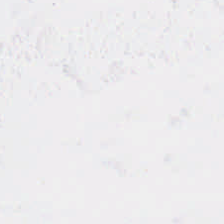H&E stain.
Histology — empty background.
